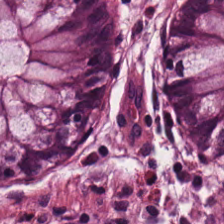Hematoxylin and eosin — Predominantly normal colonic mucosa.
